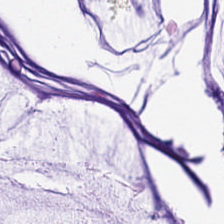224×224 px tile · H&E stain. Q: Classify this patch.
A: It is mucus.
